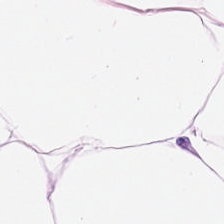H&E-stained tissue section.
This patch shows adipose.
